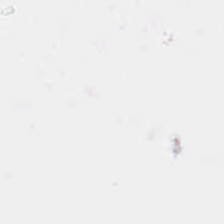Stain: H&E-stained tissue section.
Content: background (no tissue).
